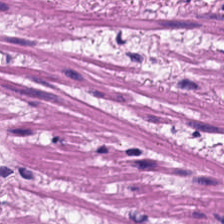FFPE tissue section · H&E-stained tissue section. Tissue class = smooth-muscle tissue.
